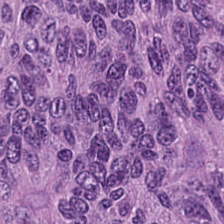H&E stain. Adenocarcinoma.
